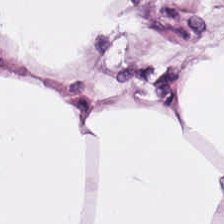Impression — adipose.
